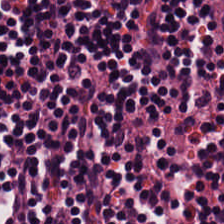H&E stain — Lymphocytic infiltrate.
